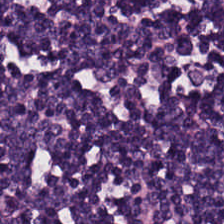0.5 µm/px. H&E stain. Q: Identify the tissue.
A: The field shows lymphocyte aggregate.
